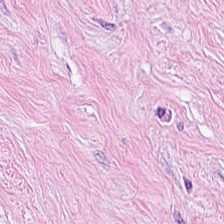Hematoxylin and eosin — The predominant tissue is cancer-associated stroma.
